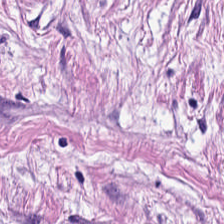Hematoxylin-and-eosin stained section.
Q: What type of tissue is this?
A: It is tumor-associated stroma.
